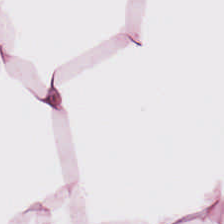224×224 pixel tile · hematoxylin and eosin · formalin-fixed paraffin-embedded section. Tissue class — fat tissue.
